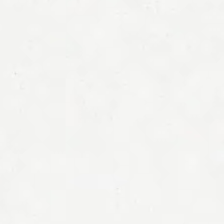This patch shows no tissue.
